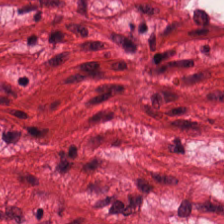Stain: H&E.
Preparation: formalin-fixed paraffin-embedded section.
Classification: smooth muscle.
